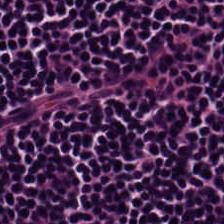Whole-slide-image patch; hematoxylin-and-eosin stained section.
This field is lymphocytic infiltrate.
